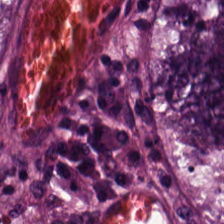Brightfield microscopy. Hematoxylin-and-eosin stained section.
Q: What is shown in this field?
A: It is tumor epithelium.
